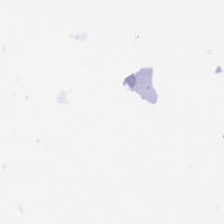Hematoxylin-and-eosin stained section.
Q: What is shown here?
A: It is background (no tissue).
